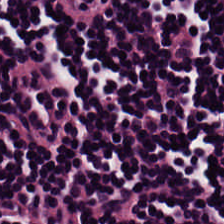Stain: hematoxylin and eosin.
Tissue: lymphocyte aggregate.
